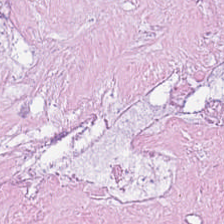Hematoxylin-and-eosin stained section.
Tissue class = cellular debris.
